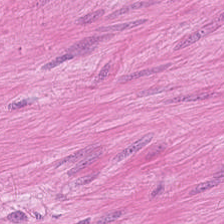H&E stain — Q: What does this patch show?
A: It is smooth-muscle tissue.
